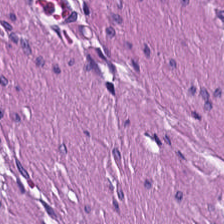Hematoxylin-and-eosin stained section. This field is smooth muscle.
